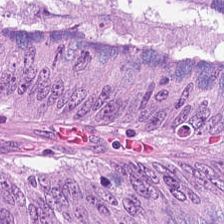H&E-stained tissue section. The predominant tissue is adenocarcinoma.
